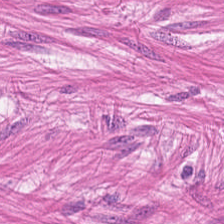Tissue class = smooth muscle.
